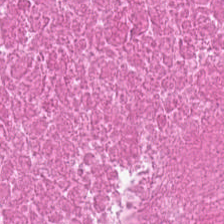Predominantly debris.
